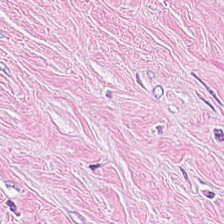Hematoxylin and eosin; WSI patch.
Desmoplastic stroma.
